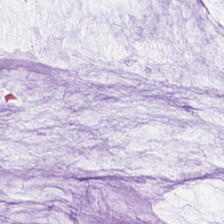H&E — mucus.
